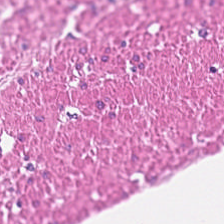The tissue is muscularis.
